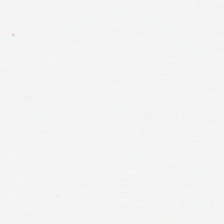H&E-stained tissue section. Background — no tissue in this field.
